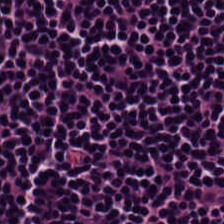Hematoxylin and eosin.
This field is lymphoid infiltrate.
